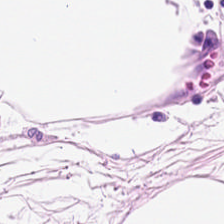Formalin-fixed paraffin-embedded section; H&E-stained tissue section.
Predominant tissue — adipose.
